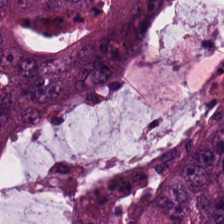H&E-stained tissue section.
Tissue type: malignant epithelium.
